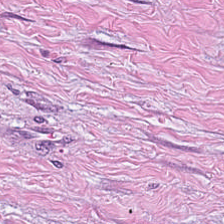H&E. The tissue class is desmoplastic stroma.
